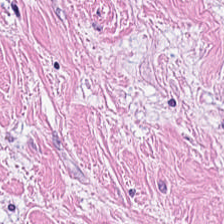Hematoxylin and eosin; brightfield. Q: What type of tissue is this?
A: Desmoplastic stroma.
